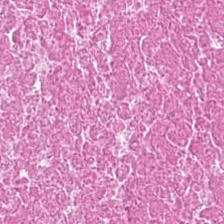H&E stain · 0.5 µm/px. {"tissue_type": "debris"}
